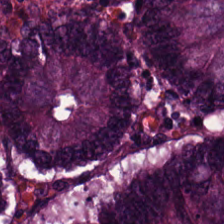H&E-stained tissue section. 224×224 px patch. 0.5 microns per pixel. Colorectal adenocarcinoma.
